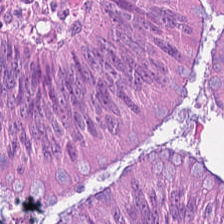Tissue = tumor epithelium.
